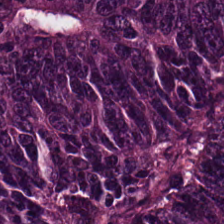H&E stain — This field is tumor epithelium.
